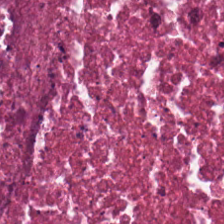FFPE tissue section · 0.5 microns per pixel · H&E stain.
Necrotic debris.
